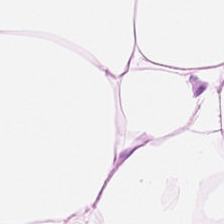0.5 µm/px · hematoxylin and eosin.
The tissue here is adipocytes.
